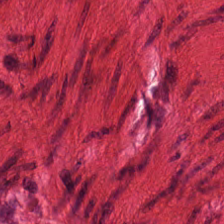Hematoxylin-and-eosin stained section; 0.5 microns per pixel.
Smooth-muscle tissue.
